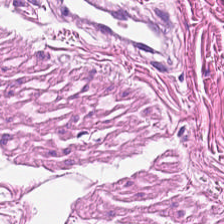H&E stain. 224×224 px tile.
Predominant tissue — smooth muscle.
